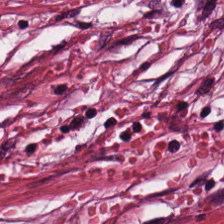Stain: H&E stain.
Classification: tumor-associated stroma.
